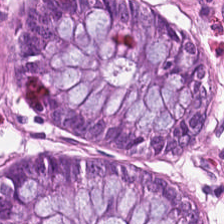FFPE. Hematoxylin-and-eosin stained section. Classification = benign colonic mucosa.
